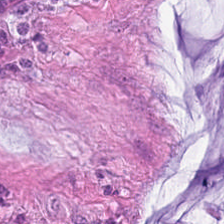H&E-stained tissue section. Tissue type = extracellular mucin.
